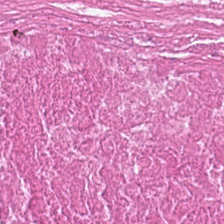Brightfield microscopy · hematoxylin and eosin.
Q: Classify this patch.
A: This is cellular debris.
